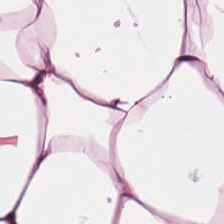H&E-stained tissue section — Q: Identify the tissue.
A: Fat tissue.
